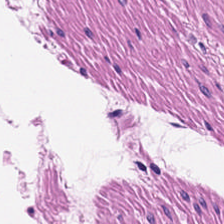H&E stain. Histology → smooth muscle.
